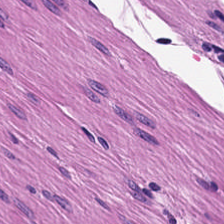Tissue = smooth-muscle tissue.
